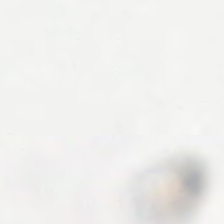H&E. Finding → no tissue.
